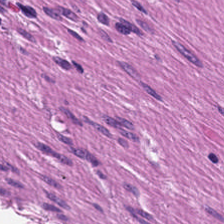Hematoxylin-and-eosin section: smooth-muscle tissue.
